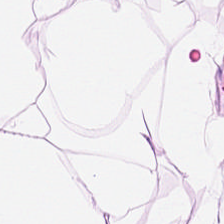Q: What type of tissue is this?
A: The field shows adipocytes.
